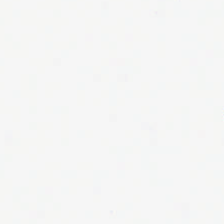Stain: hematoxylin-and-eosin stained section.
Classification: background (no tissue).
